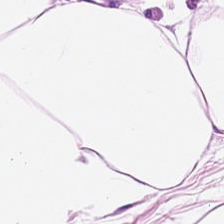H&E-stained tissue section. Finding — fat tissue.
